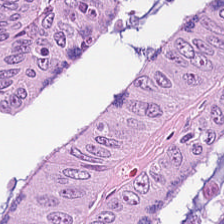H&E-stained tissue section.
This field is adenocarcinoma.
